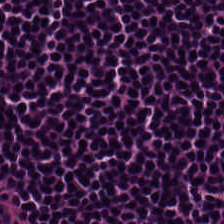Stain: H&E.
Predominant tissue: lymphocytes.
